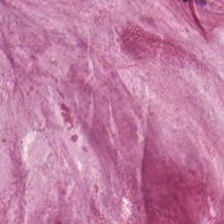224×224 px tile · H&E stain — Showing mucus.
